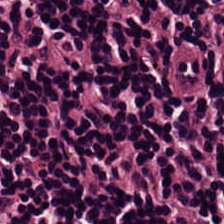Hematoxylin and eosin. 20× equivalent magnification. Brightfield microscopy. Q: What is shown in this field?
A: It is lymphoid infiltrate.
